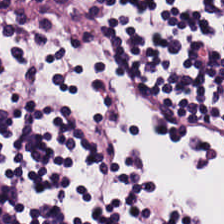Hematoxylin-and-eosin stained section.
Predominant tissue: lymphoid infiltrate.
